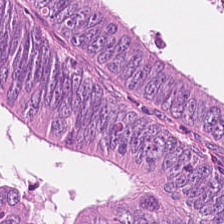H&E-stained tissue section; 224×224 px tile — Q: What tissue type is shown here?
A: Colorectal adenocarcinoma epithelium.
